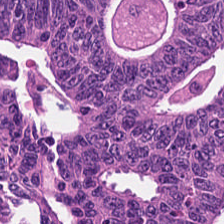Hematoxylin and eosin — Showing colorectal adenocarcinoma epithelium.
